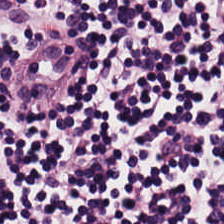Brightfield. H&E-stained tissue section. Showing lymphocytic infiltrate.
